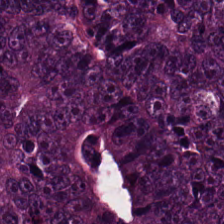H&E-stained tissue section — Histology → adenocarcinoma.
